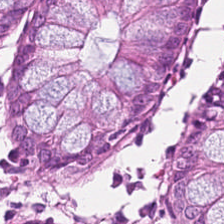Hematoxylin and eosin · formalin-fixed paraffin-embedded section. Showing benign colonic mucosa.
